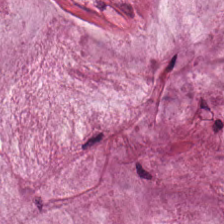Formalin-fixed paraffin-embedded section · hematoxylin and eosin — The tissue is mucus.
